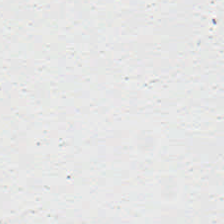Hematoxylin-and-eosin stained section. FFPE. Brightfield microscopy. Q: What does this patch show?
A: It is background (no tissue).
